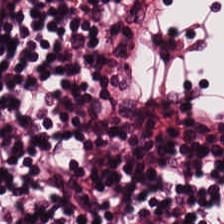Hematoxylin-and-eosin stained section. This field is lymphocytes.
